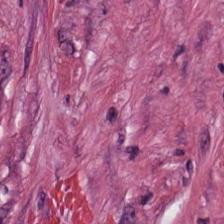H&E — desmoplastic stroma.
